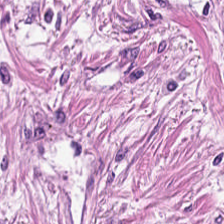H&E stain.
Q: What type of tissue is this?
A: The field shows cancer-associated stroma.
